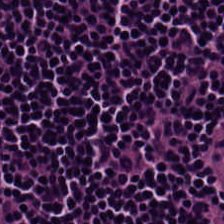Formalin-fixed paraffin-embedded section · H&E.
Q: What is shown in this field?
A: It is lymphocyte aggregate.
